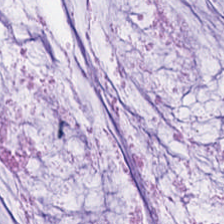H&E stain.
Q: What is shown in this field?
A: Extracellular mucin.
